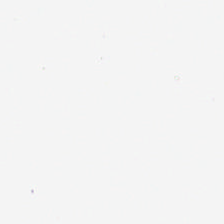Hematoxylin-and-eosin stained section. Background — no tissue in this field.
